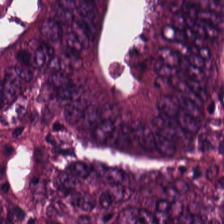Brightfield microscopy; hematoxylin and eosin; 224×224 px tile — Showing tumor epithelium.
